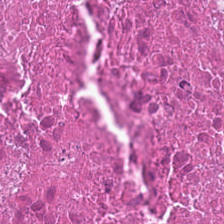Stain: H&E-stained tissue section.
Preparation: FFPE tissue section.
Tile size: 224×224 pixel tile.
Tissue class: necrotic debris.
